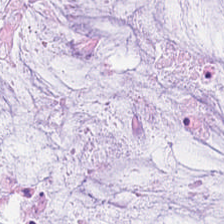H&E-stained tissue section — Q: What is shown here?
A: Extracellular mucin.
